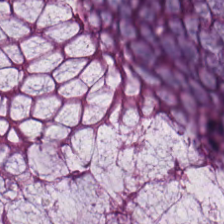FFPE; hematoxylin-and-eosin stained section; 224×224 pixel tile. Histology — benign colonic mucosa.
